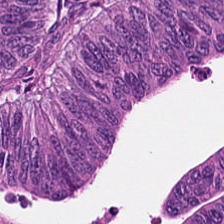Hematoxylin-and-eosin stained section — Classification — malignant epithelium.
